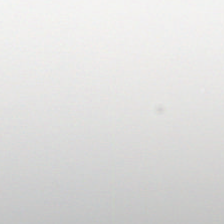Finding → empty background.
